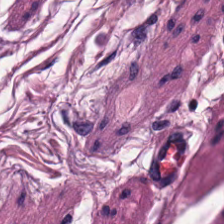H&E stain — Showing muscularis.
